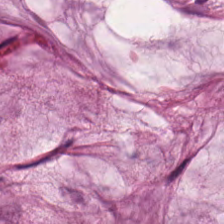H&E.
Q: What is the predominant tissue type?
A: Extracellular mucin.
